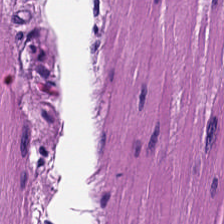Hematoxylin-and-eosin stained section · 224×224 px tile — Tissue class: muscularis.
